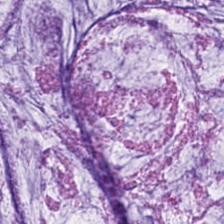Mucus.
